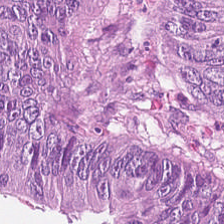Formalin-fixed paraffin-embedded section. H&E stain.
The tissue type is colorectal adenocarcinoma.
